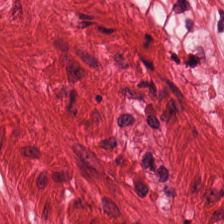0.5 µm/px · H&E-stained tissue section. The predominant tissue is muscularis.
